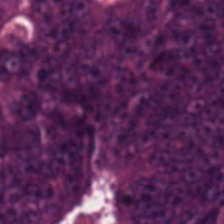Predominantly tumor epithelium.
